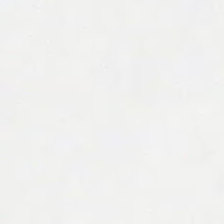H&E. Whole-slide-image patch. Q: Classify this patch.
A: It is empty background.
